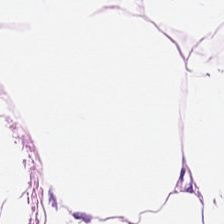Hematoxylin-and-eosin stained section — Q: Classify this patch.
A: This is fat tissue.
